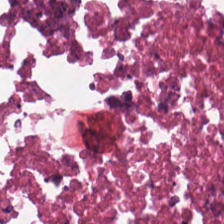0.5 µm per pixel · H&E · 224×224 px patch.
{"tissue_type": "cellular debris"}
